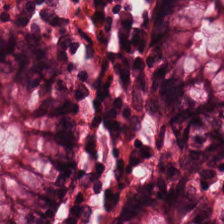H&E-stained tissue section.
The classification is non-neoplastic colon mucosa.
